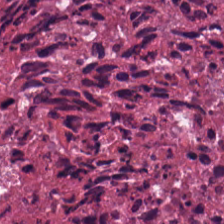Hematoxylin-and-eosin section: necrotic debris.
